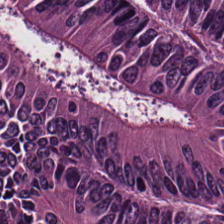Classification = malignant epithelium.
